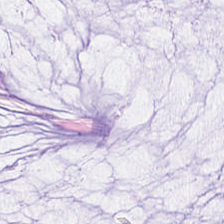Tissue class: mucus.
